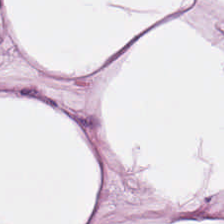Hematoxylin and eosin — The classification is adipose.
